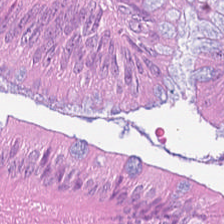H&E stain.
Tissue: colorectal adenocarcinoma epithelium.
